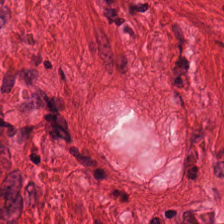H&E.
Showing muscularis.
